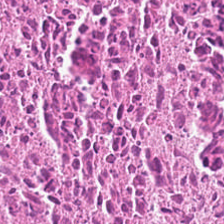H&E stain — Q: What tissue is shown?
A: Debris.
